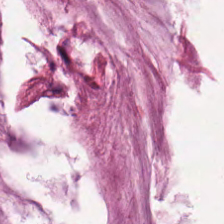H&E. Tissue = mucus.
